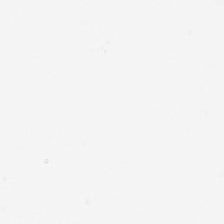Hematoxylin and eosin. This field is background (no tissue).
